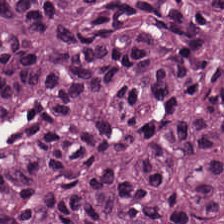Hematoxylin and eosin.
Predominant tissue — malignant epithelium.
